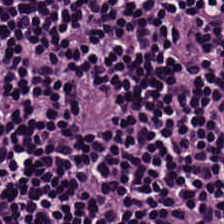{"tissue_type": "lymphocyte aggregate"}
